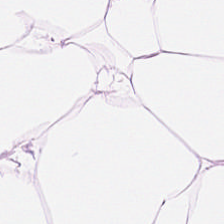Hematoxylin and eosin. Classification: adipose.
